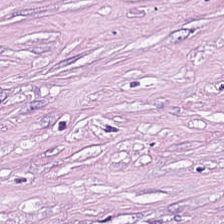Hematoxylin and eosin — Q: What is shown here?
A: Tumor stroma.
